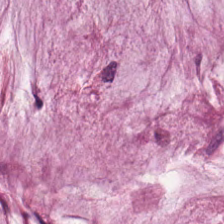224×224 pixel tile. FFPE. Hematoxylin and eosin. Q: Classify this patch.
A: This is extracellular mucin.
